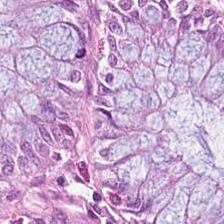Tissue class — benign colonic mucosa.
